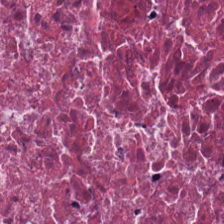H&E-stained tissue section — Q: What is shown in this field?
A: This is cellular debris.
